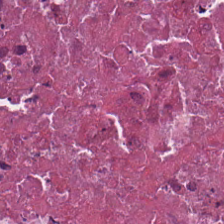Q: What tissue is shown?
A: Necrotic debris.
